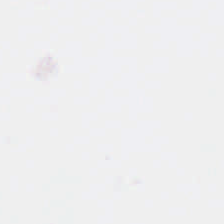Stain: hematoxylin and eosin.
Preparation: formalin-fixed paraffin-embedded section.
Acquisition: brightfield microscopy.
Field content: background.
